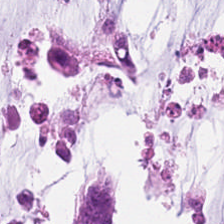Hematoxylin and eosin.
Finding → extracellular mucin.
